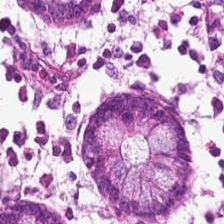H&E stain. Formalin-fixed paraffin-embedded section — Non-neoplastic colon mucosa.
